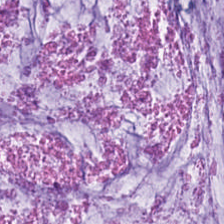Hematoxylin and eosin.
Q: What tissue is shown?
A: Extracellular mucin.
